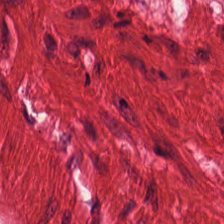0.5 µm per pixel; H&E-stained tissue section. Q: What tissue is shown?
A: The field shows smooth-muscle tissue.
